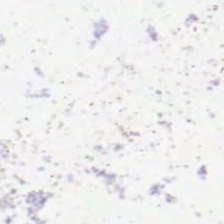H&E stain. 224×224 pixel tile. No tissue.
